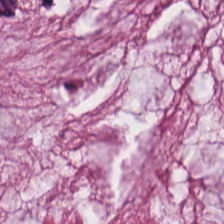H&E-stained tissue section; FFPE tissue section; 20× equivalent magnification — Finding → extracellular mucin.
